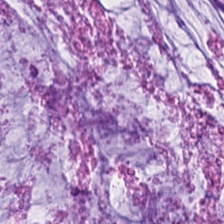Hematoxylin and eosin. FFPE — Classification: extracellular mucin.
